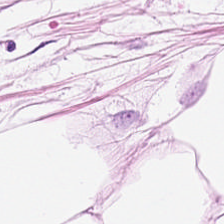H&E-stained tissue section. This patch shows fat tissue.
